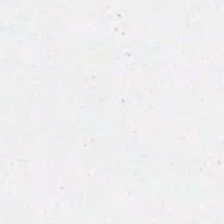Empty field — background.
